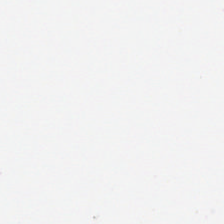Formalin-fixed paraffin-embedded section; H&E stain. Empty background.
